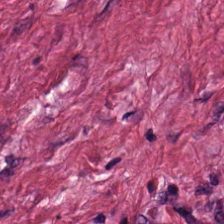This patch shows cancer-associated stroma.
